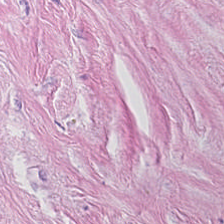H&E-stained tissue section.
Showing tumor stroma.
